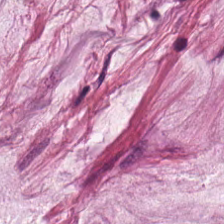H&E-stained tissue section. Predominantly extracellular mucin.
